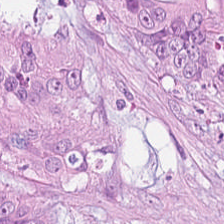Predominant tissue = malignant epithelium.
